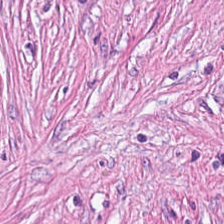Hematoxylin-and-eosin stained section. This patch shows desmoplastic stroma.
